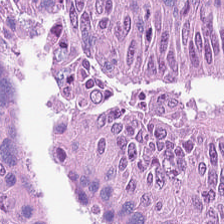Histology → colorectal adenocarcinoma epithelium.
